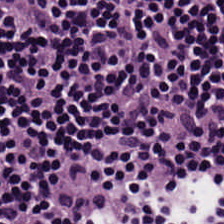Stain: H&E-stained tissue section.
Tissue type: lymphocytes.
